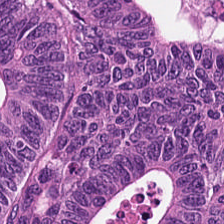Stain: H&E stain.
Classification: malignant epithelium.
